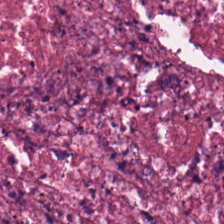H&E-stained tissue section.
Q: What type of tissue is this?
A: This is cellular debris.
